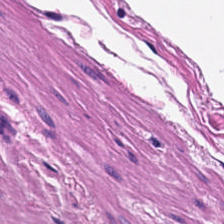Brightfield · H&E-stained tissue section.
This patch shows smooth muscle.
